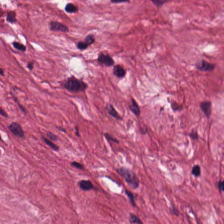0.5 µm per pixel · hematoxylin-and-eosin stained section · WSI patch — This patch shows tumor stroma.
